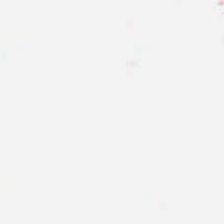H&E.
Q: What is shown in this field?
A: It is background.
